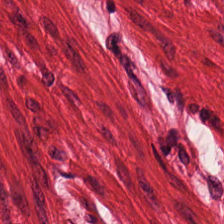H&E stain.
{"tissue_type": "smooth muscle"}
